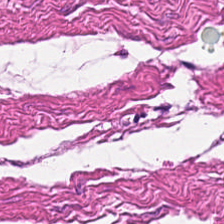H&E stain · FFPE tissue section · 20× equivalent magnification. Q: What is shown here?
A: This is muscularis.
